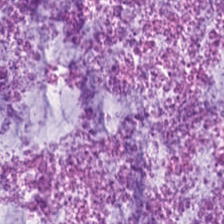0.5 µm per pixel · brightfield microscopy · H&E stain — The predominant tissue is extracellular mucin.
